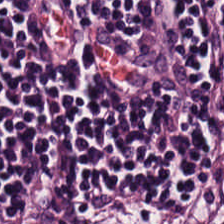Hematoxylin and eosin. Histology → lymphoid infiltrate.
